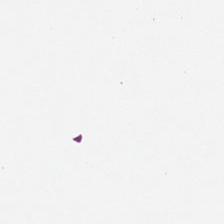Hematoxylin and eosin; brightfield. Background (no tissue).
